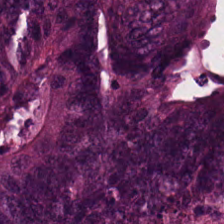Hematoxylin-and-eosin stained section · FFPE.
Showing colorectal adenocarcinoma epithelium.
